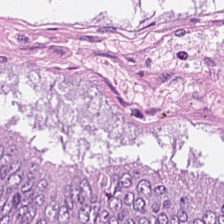224×224 px tile. H&E.
{"tissue_type": "tumor epithelium"}
